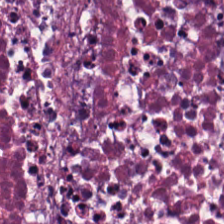H&E-stained tissue section.
Showing cellular debris.
